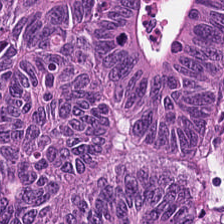Hematoxylin and eosin.
Showing tumor epithelium.
